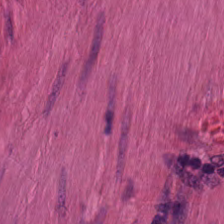Hematoxylin-and-eosin section: smooth-muscle tissue.
